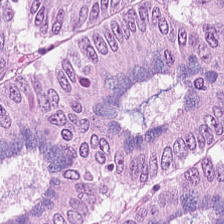Predominant tissue — adenocarcinoma.
